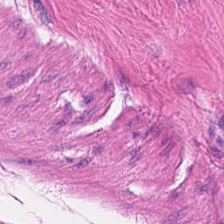H&E stain.
Predominantly smooth-muscle tissue.
